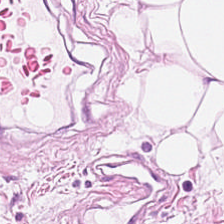Brightfield microscopy. FFPE. Hematoxylin-and-eosin stained section — Tissue — adipose tissue.
